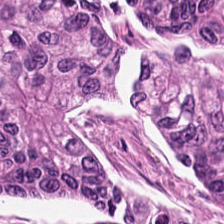Formalin-fixed paraffin-embedded section; H&E-stained tissue section.
The tissue here is colorectal adenocarcinoma epithelium.
